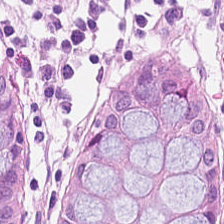Hematoxylin and eosin — Q: What is shown here?
A: It is normal colon mucosa.
